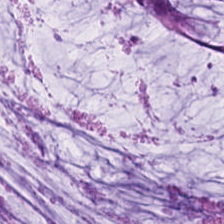Q: What type of tissue is this?
A: Extracellular mucin.
